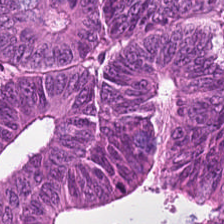Hematoxylin and eosin; 224×224 px tile — Histology — colorectal adenocarcinoma.
